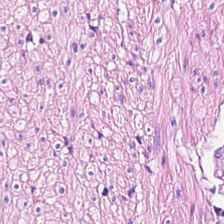Histology → smooth muscle.
